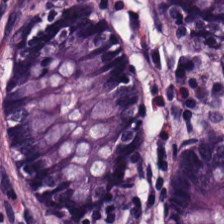H&E-stained tissue section. Predominantly non-neoplastic colon mucosa.
